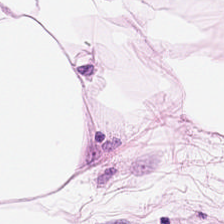{"tissue_type": "adipose"}
